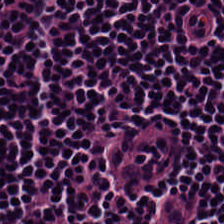H&E stain. Lymphocytes.
